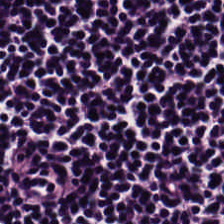H&E stain · WSI patch. The tissue is lymphocytic infiltrate.
